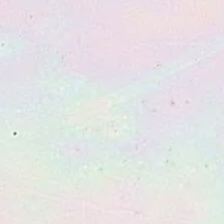H&E-stained tissue section — This field is background (no tissue).
